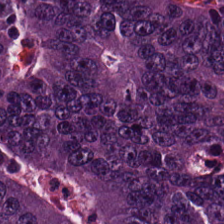FFPE tissue section; 224×224 pixel tile; hematoxylin-and-eosin stained section.
Q: Classify this patch.
A: The field shows colorectal adenocarcinoma epithelium.
